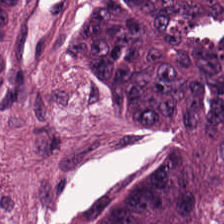H&E · FFPE tissue section — The tissue here is adenocarcinoma.
